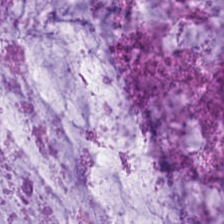FFPE tissue section. H&E. 0.5 µm per pixel. The tissue here is mucin.
